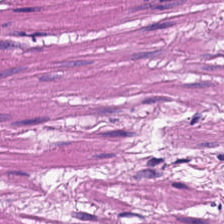Formalin-fixed paraffin-embedded section · WSI patch · H&E-stained tissue section. {"tissue_type": "smooth muscle"}
